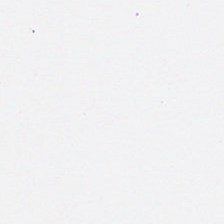Impression — background (no tissue).
